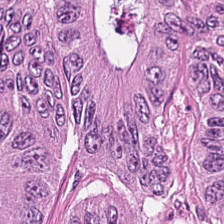H&E stain. Q: What tissue is shown?
A: Malignant epithelium.
